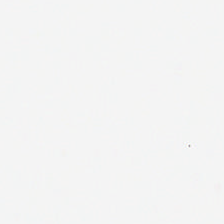Brightfield microscopy. H&E-stained tissue section.
Content = no tissue.
